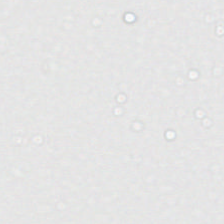Hematoxylin-and-eosin stained section; WSI patch. Content — background (no tissue).
